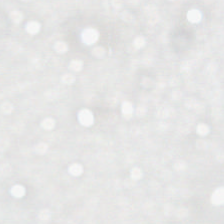Stain: H&E-stained tissue section.
Field content: empty background.
